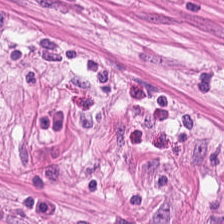Formalin-fixed paraffin-embedded section. Whole-slide-image patch. H&E stain. This patch shows smooth-muscle tissue.
